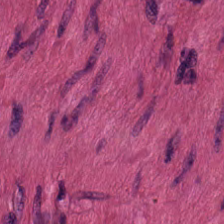Stain: H&E-stained tissue section.
Tissue class: smooth muscle.
